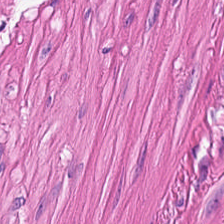Predominantly muscularis.
